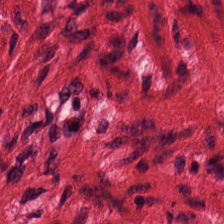Hematoxylin and eosin. This patch shows smooth-muscle tissue.
